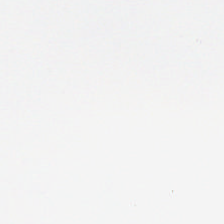Q: What is shown in this field?
A: The field shows no tissue.
